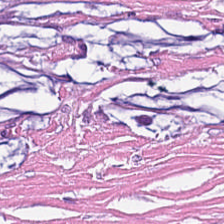H&E stain.
Q: What is shown in this field?
A: It is desmoplastic stroma.
